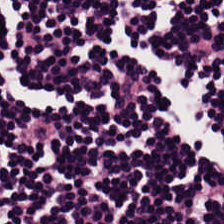Hematoxylin-and-eosin stained section · WSI patch · 224×224 px tile. Q: Identify the tissue.
A: The field shows lymphocyte aggregate.
